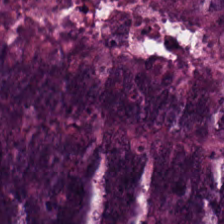H&E stain · 0.5 microns per pixel. The tissue here is malignant epithelium.
